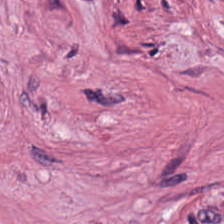Hematoxylin-and-eosin stained section. 20× equivalent magnification. 224×224 px patch.
Tissue class = tumor-associated stroma.
